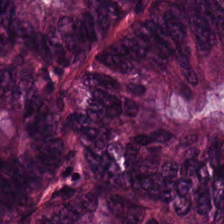H&E · 0.5 microns per pixel · 224×224 pixel tile. Histology — adenocarcinoma.
